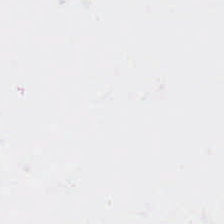Stain: H&E.
Tile size: 224×224 pixel tile.
Classification: background (no tissue).
